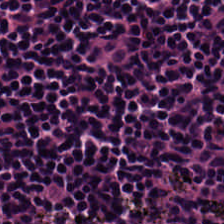H&E; WSI patch. Lymphocytes.
